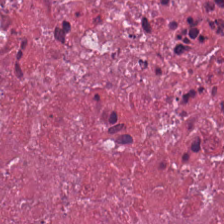FFPE; hematoxylin-and-eosin stained section — Tissue class: cellular debris.
